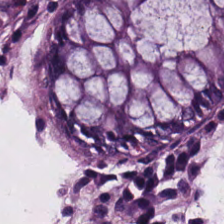H&E stain; 224×224 pixel tile.
Predominant tissue — normal colon mucosa.
